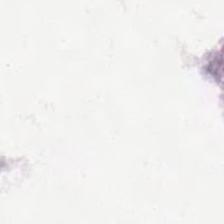H&E-stained tissue section.
Field content: background.
